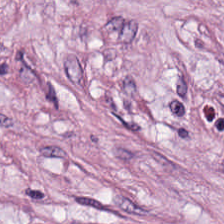Stain: H&E.
Tissue type: tumor-associated stroma.
